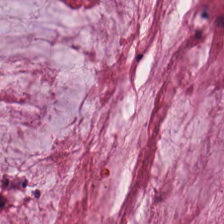H&E-stained tissue section.
The tissue here is mucin.
